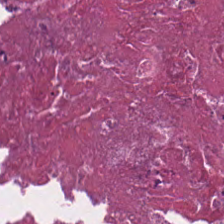0.5 microns per pixel. 224×224 px patch. H&E stain. Predominantly debris.
